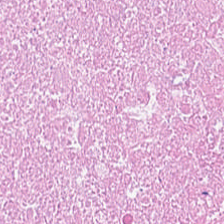H&E stain.
The predominant tissue is debris.
